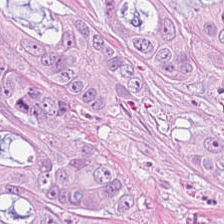Finding — tumor epithelium.
